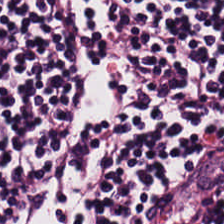Tissue class = lymphocytic infiltrate.
